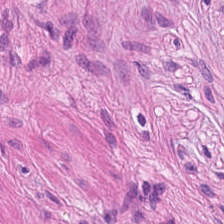Stain: hematoxylin-and-eosin stained section.
Acquisition: whole-slide-image patch.
Tissue class: muscularis.
